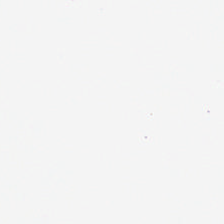Hematoxylin and eosin.
Q: What is shown in this field?
A: This is background (no tissue).
